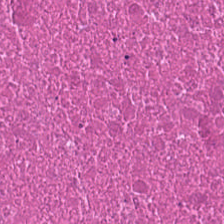H&E-stained tissue section — This patch shows debris.
